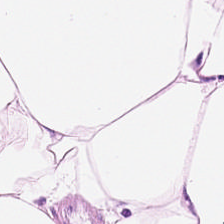Brightfield microscopy; FFPE; H&E stain — Predominant tissue: adipose tissue.
